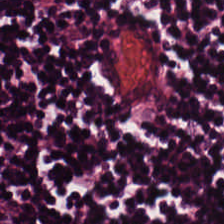H&E-stained tissue section. The tissue here is lymphocytes.
